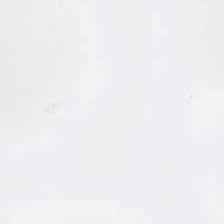H&E stain; whole-slide-image patch.
This field is background (no tissue).
